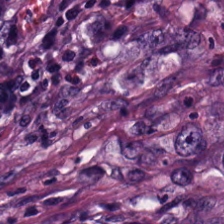224×224 pixel tile; H&E-stained tissue section. Lymphocytic infiltrate.
